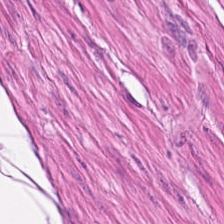Hematoxylin and eosin. Smooth-muscle tissue.
